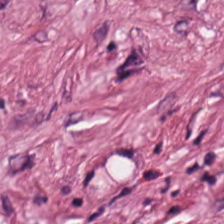224×224 px tile. Brightfield. H&E stain.
Tissue class = tumor-associated stroma.
